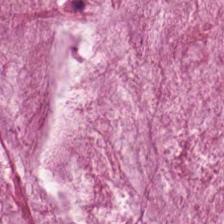H&E-stained tissue section — Q: What tissue is shown?
A: The field shows mucin.
